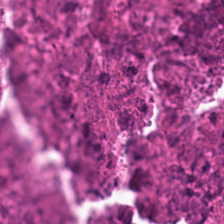H&E · whole-slide-image patch — Tissue class = necrotic debris.
